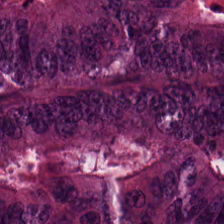{"tissue_type": "malignant epithelium"}
